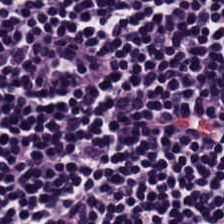Finding — lymphoid infiltrate.
